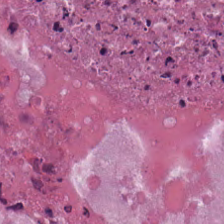H&E-stained tissue section — This patch shows cellular debris.
